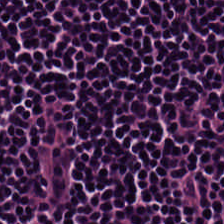H&E.
Impression — lymphocyte aggregate.
